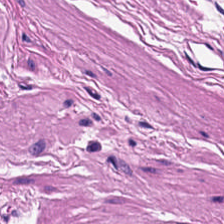Hematoxylin and eosin. The predominant tissue is muscularis.
